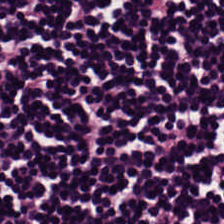H&E.
Finding → lymphocytic infiltrate.
